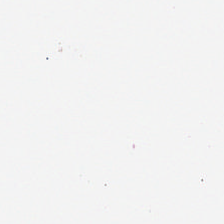H&E. No tissue.
